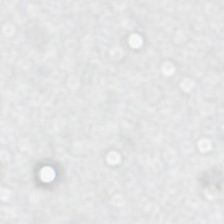Brightfield microscopy. H&E-stained tissue section — This patch shows background.
